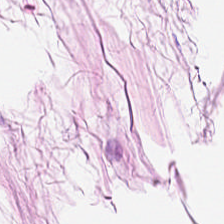Hematoxylin-and-eosin stained section.
Tissue = adipose.
